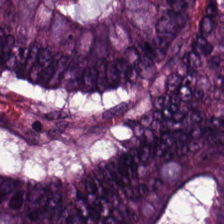Q: What is shown in this field?
A: Malignant epithelium.
